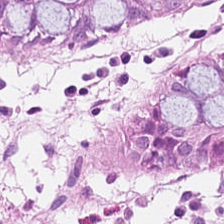Hematoxylin-and-eosin stained section. Whole-slide-image patch. 0.5 µm per pixel.
Normal colon mucosa.
